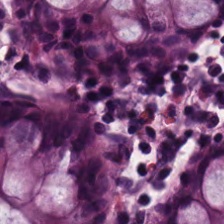Brightfield microscopy · hematoxylin-and-eosin stained section — The classification is non-neoplastic colon mucosa.
